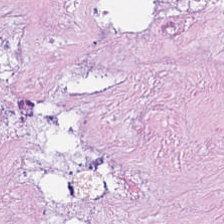H&E.
Showing necrotic debris.
